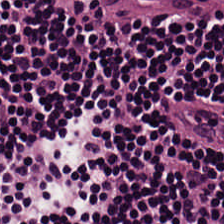Q: What type of tissue is this?
A: The field shows lymphocytic infiltrate.
